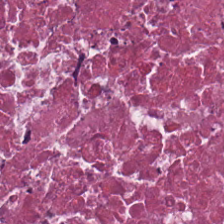Brightfield; hematoxylin and eosin; 224×224 pixel tile.
The tissue here is debris.
